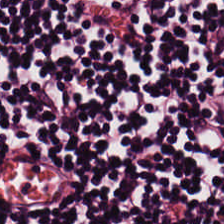Showing lymphocytes.
